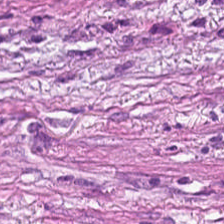Tissue = tumor-associated stroma.
